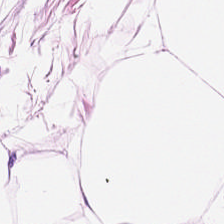H&E — Finding → fat tissue.
